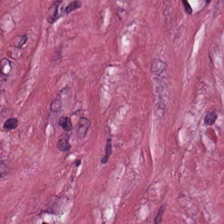Cancer-associated stroma.
